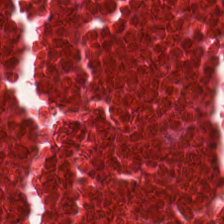H&E stain.
Q: Identify the tissue.
A: The field shows debris.
